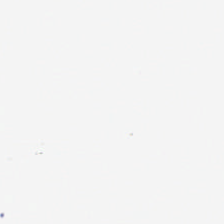This patch shows background (no tissue).
